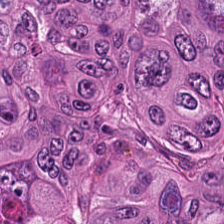Impression → colorectal adenocarcinoma epithelium.
